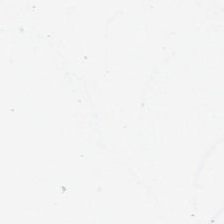Stain: hematoxylin-and-eosin stained section.
Acquisition: brightfield.
Tile size: 224×224 px tile.
Classification: empty background.
